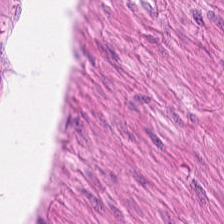H&E stain. 224×224 px patch — Q: What type of tissue is this?
A: It is muscularis.
